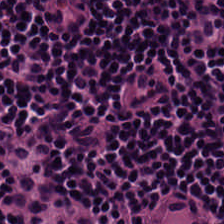H&E-stained tissue section. Tissue type = lymphocytes.
